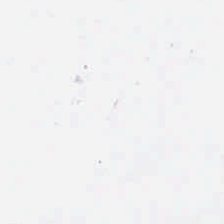Impression → background (no tissue).
